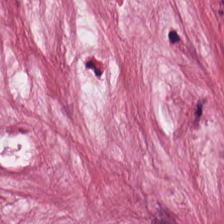H&E-stained tissue section. The tissue here is tumor stroma.
